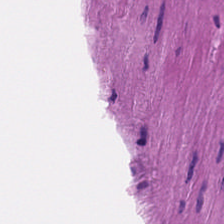H&E-stained tissue section · 224×224 px patch.
Tissue class — smooth muscle.
